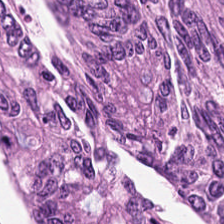H&E-stained tissue section. Predominantly adenocarcinoma.
